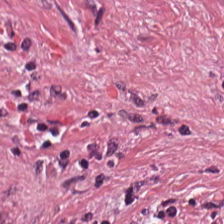H&E-stained tissue section; 0.5 µm per pixel. The predominant tissue is desmoplastic stroma.
